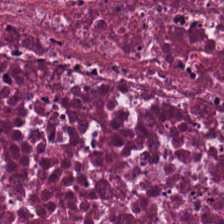Hematoxylin-and-eosin stained section — Predominant tissue: cellular debris.
